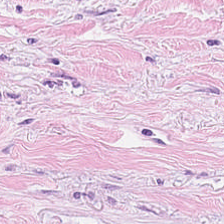Hematoxylin-and-eosin section: tumor-associated stroma.
